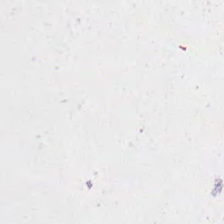Content = background.
